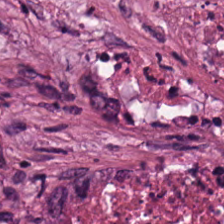224×224 px patch. Hematoxylin and eosin — Necrotic debris.
